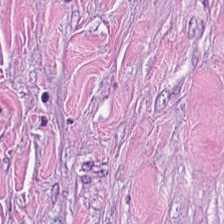H&E stain. Predominant tissue — desmoplastic stroma.
